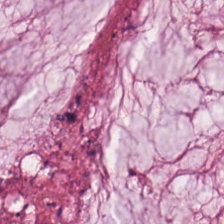H&E — Tissue type: mucus.
